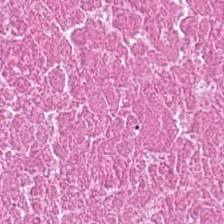Hematoxylin and eosin; 224×224 px patch.
The predominant tissue is debris.
